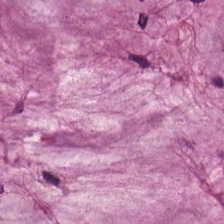Stain: hematoxylin-and-eosin stained section.
Tissue class: mucin.
